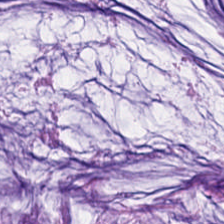Histology → mucin.
